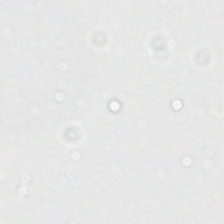H&E stain.
Background — no tissue in this field.
